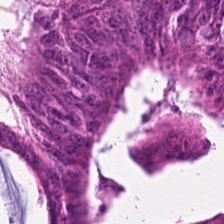Brightfield microscopy. H&E-stained tissue section.
The classification is colorectal adenocarcinoma epithelium.
